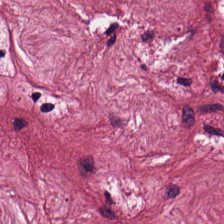H&E. Q: What is the predominant tissue type?
A: This is tumor stroma.
